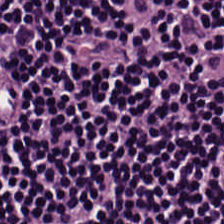Hematoxylin and eosin · whole-slide-image patch.
Q: Classify this patch.
A: Lymphoid infiltrate.
